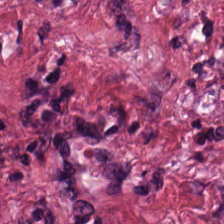H&E-stained tissue section — Cancer-associated stroma.
